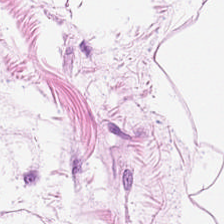Q: What does this patch show?
A: This is adipose tissue.
